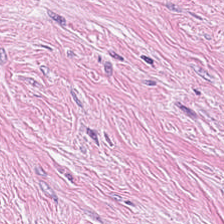Hematoxylin and eosin · 224×224 px patch. Q: What type of tissue is this?
A: Desmoplastic stroma.
